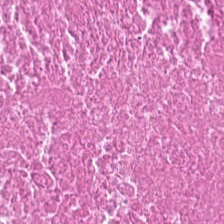Hematoxylin and eosin; 224×224 pixel tile; 20× equivalent magnification — Impression — cellular debris.
